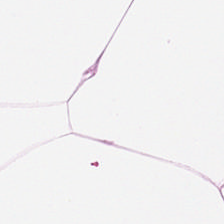Hematoxylin-and-eosin stained section.
This patch shows adipose tissue.
